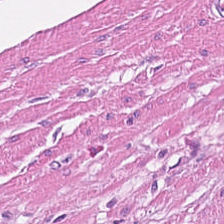Stain: H&E.
Acquisition: whole-slide-image patch.
Resolution: 20× equivalent magnification.
Tissue: smooth-muscle tissue.
